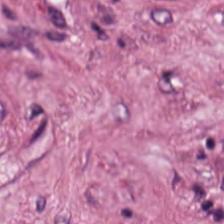Hematoxylin and eosin — The predominant tissue is tumor stroma.
